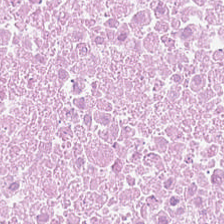H&E-stained tissue section; whole-slide-image patch — This patch shows necrotic debris.
